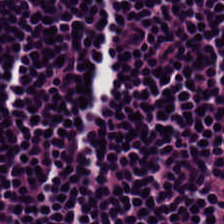Stain: H&E stain.
Tissue class: lymphocytic infiltrate.
